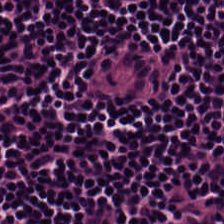H&E stain · formalin-fixed paraffin-embedded section. The tissue type is lymphocytic infiltrate.
